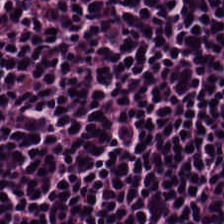Hematoxylin-and-eosin stained section. {"tissue_type": "lymphocytes"}
